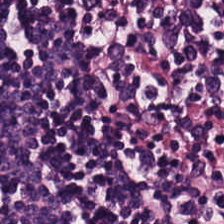20× equivalent magnification; H&E stain. Q: What is shown in this field?
A: The field shows lymphocyte aggregate.
